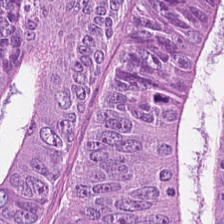Predominant tissue = adenocarcinoma.
